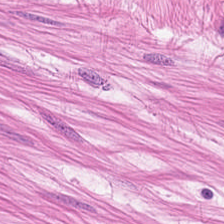Stain: H&E stain.
Preparation: FFPE.
Tile size: 224×224 px tile.
Tissue class: smooth-muscle tissue.
